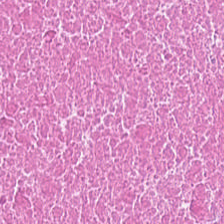H&E. The predominant tissue is necrotic debris.
